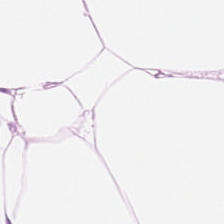Hematoxylin and eosin. This field is fat tissue.
